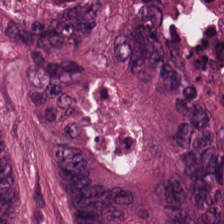H&E-stained tissue section. FFPE tissue section. 224×224 px tile.
Predominant tissue = adenocarcinoma.
